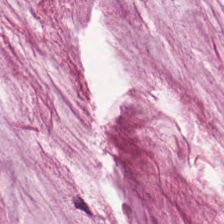224×224 pixel tile. H&E-stained tissue section. 0.5 microns per pixel. Classification — mucin.
